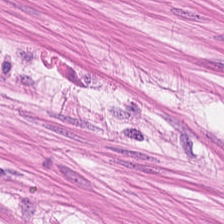H&E-stained tissue section — Q: What tissue is shown?
A: The field shows smooth muscle.
